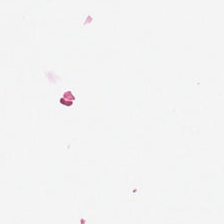Q: What is shown in this field?
A: This is no tissue.
